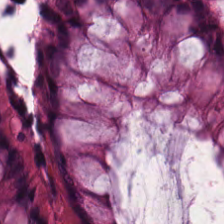H&E-stained tissue section · FFPE tissue section. Tissue class: normal colon mucosa.
